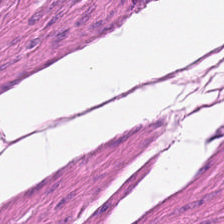Hematoxylin-and-eosin stained section. Histology → smooth muscle.
